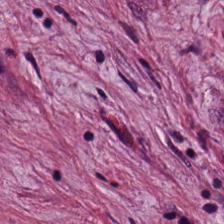H&E-stained tissue section. 0.5 microns per pixel — Showing cancer-associated stroma.
